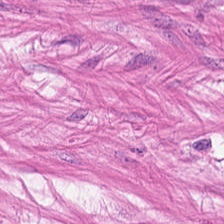H&E-stained tissue section.
This field is smooth-muscle tissue.
